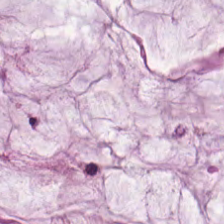Mucin.
